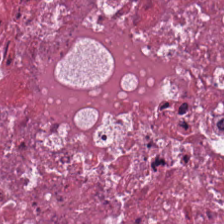Hematoxylin-and-eosin stained section. Tissue = debris.
